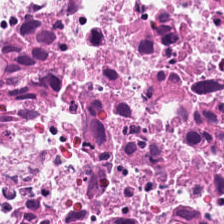H&E patch showing cellular debris.
